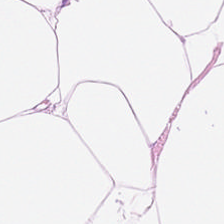Impression → adipose tissue.
